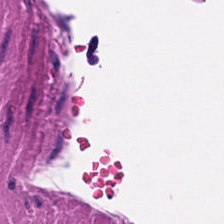H&E stain — {"tissue_type": "smooth muscle"}
